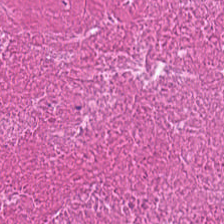Hematoxylin-and-eosin stained section.
Q: What tissue is shown?
A: Necrotic debris.
